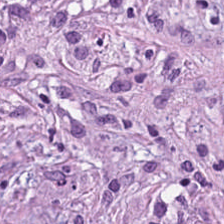Q: What type of tissue is this?
A: The field shows tumor-associated stroma.
